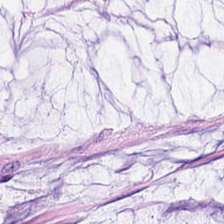H&E-stained tissue section. 0.5 µm per pixel. Brightfield. Predominantly mucus.
